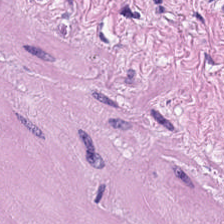H&E — Classification — smooth muscle.
